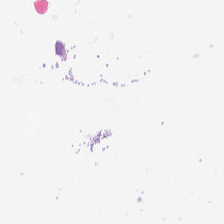Classification: background.
